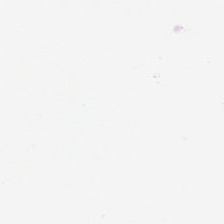224×224 pixel tile. H&E-stained tissue section. WSI patch.
Field content: no tissue.
